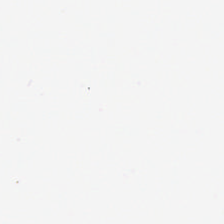Hematoxylin and eosin.
Field content — background (no tissue).
